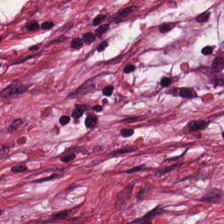Stain: H&E-stained tissue section.
Preparation: formalin-fixed paraffin-embedded section.
Tissue type: desmoplastic stroma.
